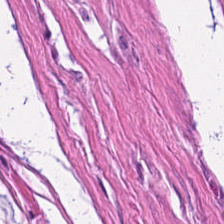H&E stain; 0.5 µm per pixel; FFPE tissue section.
Histology — muscularis.
